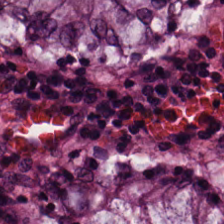224×224 px tile; H&E. Q: Classify this patch.
A: Normal colonic mucosa.
